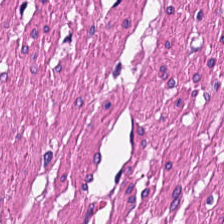224×224 px tile. 0.5 µm/px. H&E — This field is smooth-muscle tissue.
